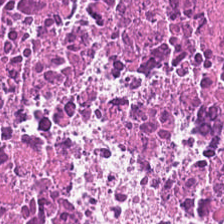20× equivalent magnification; 224×224 px patch; H&E-stained tissue section. This field is cellular debris.
